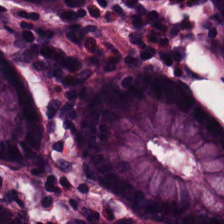H&E · whole-slide-image patch. Classification = normal colonic mucosa.
